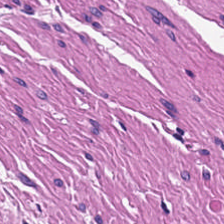H&E-stained tissue section; 0.5 µm per pixel. Tissue class = smooth-muscle tissue.
